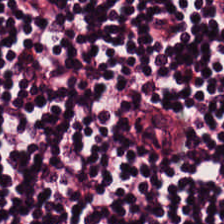Hematoxylin-and-eosin stained section. Histology — lymphocytic infiltrate.
